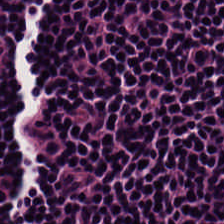224×224 pixel tile. Brightfield microscopy. H&E-stained tissue section — The predominant tissue is lymphocytes.
